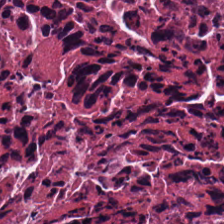224×224 px tile; H&E; formalin-fixed paraffin-embedded section.
Predominant tissue — necrotic debris.
